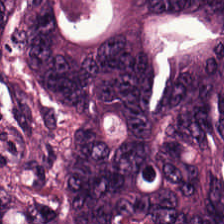Tissue class: colorectal adenocarcinoma.
